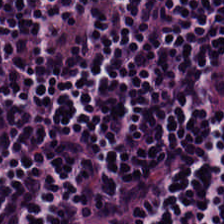Showing lymphoid infiltrate.
